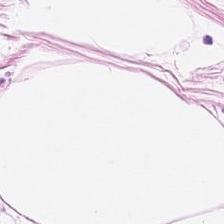H&E-stained section; the field shows fat tissue.
